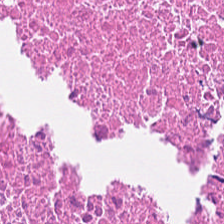Hematoxylin and eosin — Classification: cellular debris.
